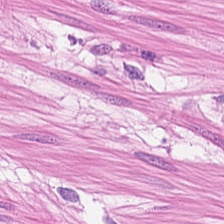Hematoxylin and eosin — The tissue here is smooth muscle.
